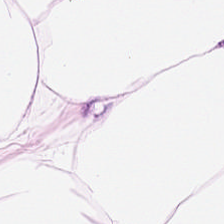Stain: H&E-stained tissue section.
Tissue class: adipose.
